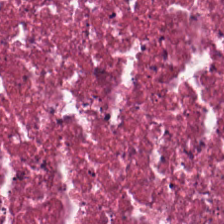The tissue type is debris.
